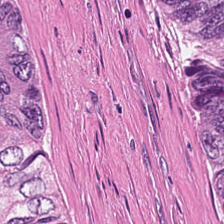Classification = debris.
